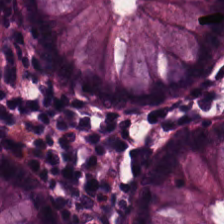224×224 pixel tile. H&E stain — Classification — non-neoplastic colon mucosa.
